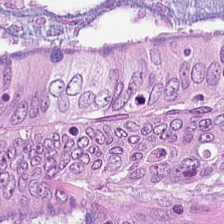Q: Identify the tissue.
A: This is colorectal adenocarcinoma.
